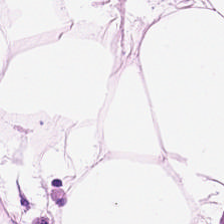Hematoxylin and eosin. 224×224 px patch.
Histology → adipose tissue.
